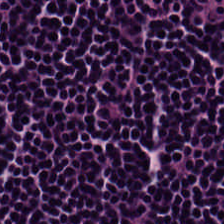Histology → lymphocytic infiltrate.
